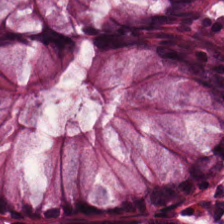224×224 px patch · H&E stain.
Q: What tissue type is shown here?
A: The field shows normal colonic mucosa.
